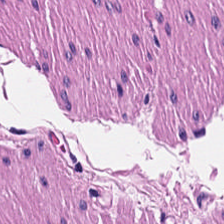Brightfield; hematoxylin and eosin.
Tissue class: smooth-muscle tissue.
